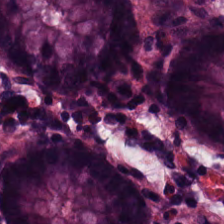Hematoxylin-and-eosin stained section — This patch shows non-neoplastic colon mucosa.
